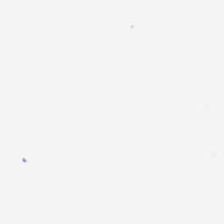Hematoxylin and eosin.
Background — no tissue in this field.
